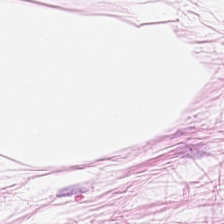H&E patch showing fat tissue.
